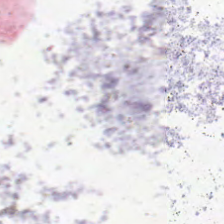Stain: hematoxylin-and-eosin stained section.
Preparation: FFPE tissue section.
Field content: background (no tissue).
